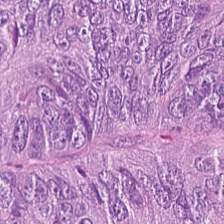224×224 px patch; H&E. Impression — adenocarcinoma.
